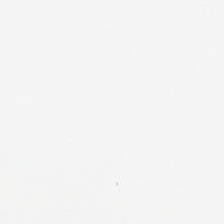H&E; FFPE tissue section.
Field content = background.
